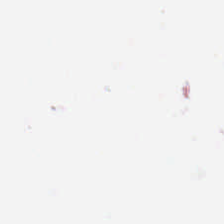224×224 pixel tile; whole-slide-image patch; hematoxylin-and-eosin stained section. Impression → no tissue.
